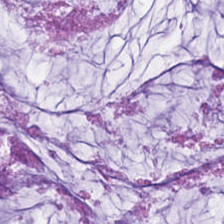Q: What tissue is shown?
A: This is mucus.
